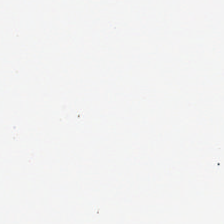H&E-stained tissue section — Classification — background (no tissue).
